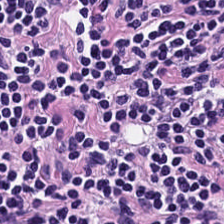H&E stain. Classification — lymphocytes.
